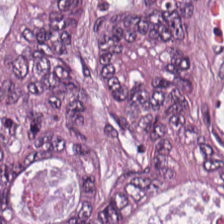H&E-stained tissue section — Tissue type: malignant epithelium.
